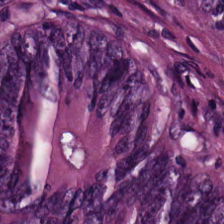WSI patch. Hematoxylin and eosin. 0.5 microns per pixel.
Predominantly colorectal adenocarcinoma epithelium.
